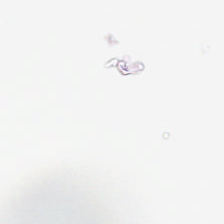Hematoxylin-and-eosin stained section — Finding → background.
